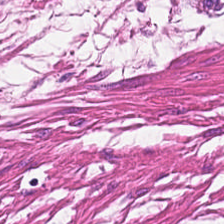H&E-stained tissue section; WSI patch.
This field is muscularis.
